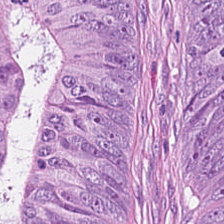Stain: H&E stain.
Tissue class: adenocarcinoma.
